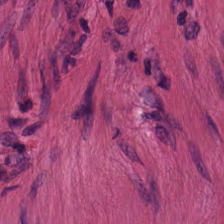Stain: H&E.
Preparation: FFPE tissue section.
Classification: muscularis.
